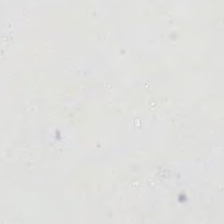H&E.
Finding — background.
